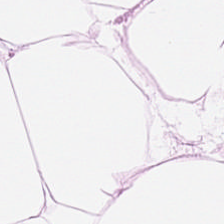H&E · whole-slide-image patch — The classification is adipose tissue.
